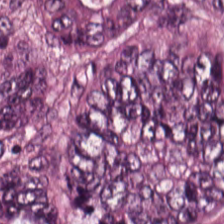Whole-slide-image patch; hematoxylin-and-eosin stained section.
Q: What tissue type is shown here?
A: It is colorectal adenocarcinoma epithelium.
